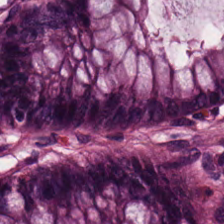Q: Identify the tissue.
A: This is normal colonic mucosa.
